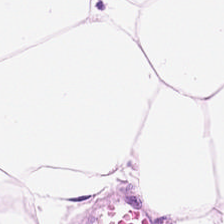H&E. Classification — adipocytes.
